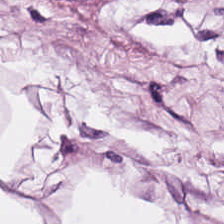Impression — adipose tissue.
